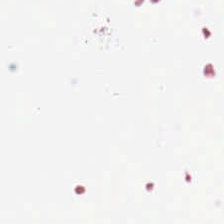FFPE tissue section · hematoxylin and eosin · 224×224 px patch. {"content": "background (no tissue)"}
